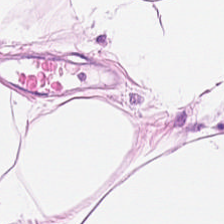Hematoxylin and eosin · 224×224 pixel tile.
{"tissue_type": "adipose"}
